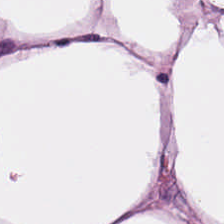Hematoxylin-and-eosin stained section.
Q: What does this patch show?
A: Adipose tissue.
